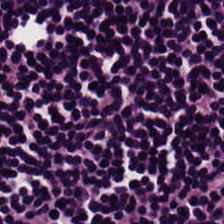FFPE · H&E — Predominantly lymphocyte aggregate.
